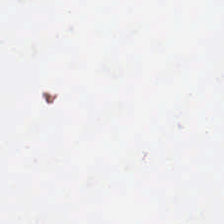H&E stain — Q: What does this patch show?
A: This is no tissue.
